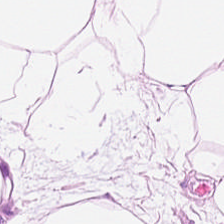H&E-stained tissue section; 0.5 µm/px. Predominantly adipocytes.
